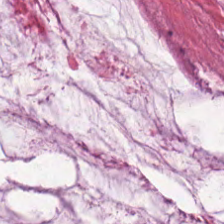Stain: H&E stain.
Tile size: 224×224 px tile.
Predominant tissue: mucin.
